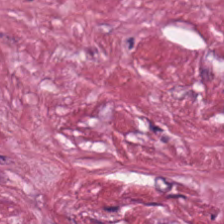Finding — tumor-associated stroma.
